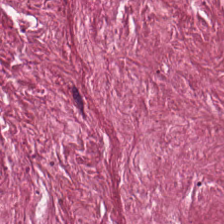0.5 µm per pixel; H&E stain.
Tissue class: desmoplastic stroma.
